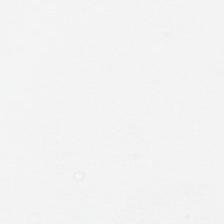224×224 px tile; whole-slide-image patch; H&E — Empty field — background.
